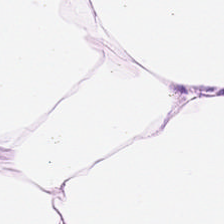Q: What is shown here?
A: It is adipose.
